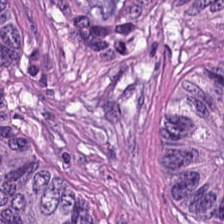224×224 px tile · FFPE · H&E stain — Impression → colorectal adenocarcinoma epithelium.
